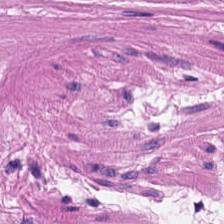Hematoxylin-and-eosin stained section. Formalin-fixed paraffin-embedded section. Whole-slide-image patch — Tissue type — muscularis.
